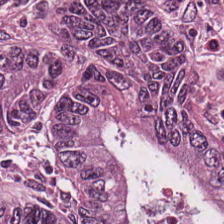Hematoxylin and eosin — The tissue here is colorectal adenocarcinoma.
